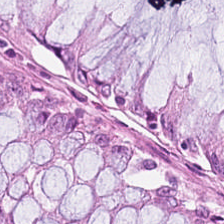0.5 µm/px; hematoxylin and eosin — The tissue type is normal colon mucosa.
